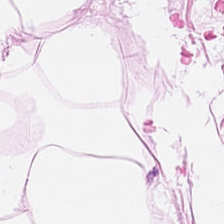Hematoxylin and eosin · whole-slide-image patch · FFPE tissue section — Q: What tissue is shown?
A: The field shows adipose tissue.
